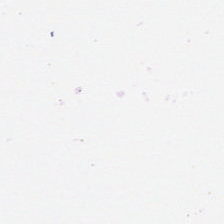H&E stain. Finding → no tissue.
